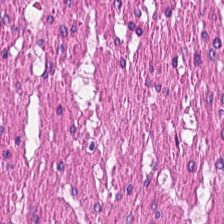H&E-stained section; the field shows smooth-muscle tissue.
